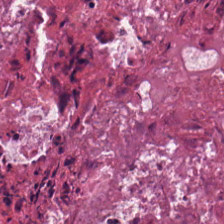Stain: H&E stain.
Tissue type: cellular debris.
